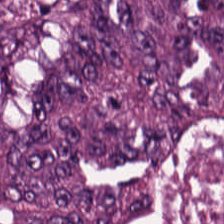Hematoxylin-and-eosin stained section. The tissue here is colorectal adenocarcinoma epithelium.
